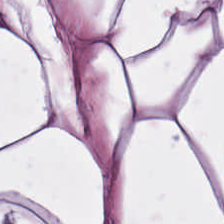WSI patch. 0.5 µm/px. H&E-stained tissue section.
Q: What type of tissue is this?
A: The field shows adipose.
